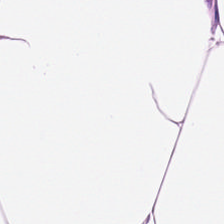Stain: hematoxylin and eosin.
Classification: adipose.
